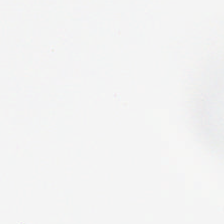Hematoxylin and eosin. {"content": "background (no tissue)"}
